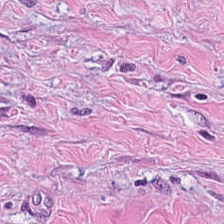H&E stain. This field is tumor-associated stroma.
